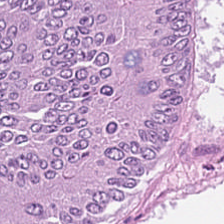Classification — tumor epithelium.
